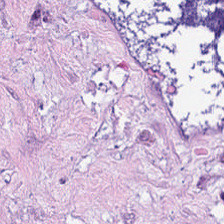Hematoxylin-and-eosin stained section — Q: What is shown in this field?
A: It is tumor-associated stroma.
